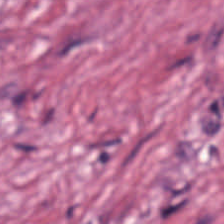H&E; formalin-fixed paraffin-embedded section; 0.5 µm per pixel. Predominantly tumor stroma.
